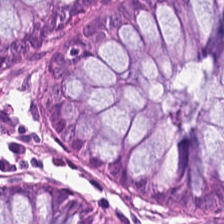224×224 px tile · H&E stain. The predominant tissue is non-neoplastic colon mucosa.
